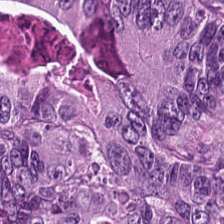0.5 µm per pixel · H&E. Q: What is shown in this field?
A: The field shows colorectal adenocarcinoma.
